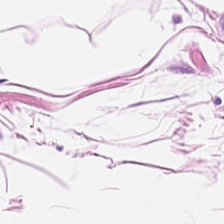Impression → adipocytes.
